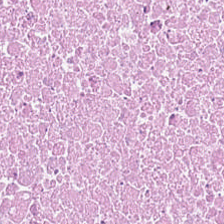H&E. This field is cellular debris.
